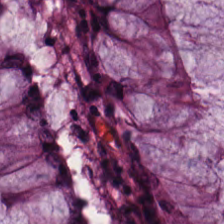The predominant tissue is benign colonic mucosa.
